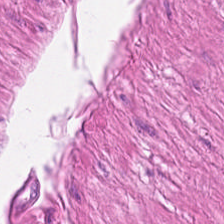Hematoxylin-and-eosin stained section.
Tissue class: smooth-muscle tissue.
